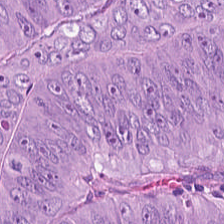H&E-stained tissue section · 224×224 px tile — Predominantly malignant epithelium.
